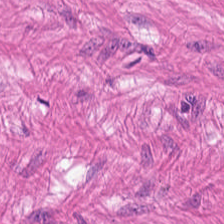Hematoxylin and eosin.
Tissue = smooth-muscle tissue.
